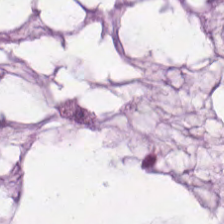Hematoxylin and eosin. {"tissue_type": "extracellular mucin"}
